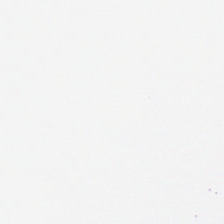H&E stain · 224×224 pixel tile — Empty field — empty background.
